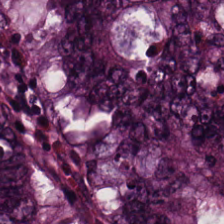Whole-slide-image patch; hematoxylin-and-eosin stained section — Q: What is the predominant tissue type?
A: Colorectal adenocarcinoma.
